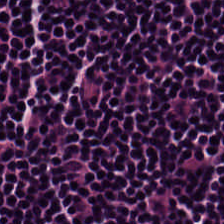H&E — Impression → lymphocytes.
